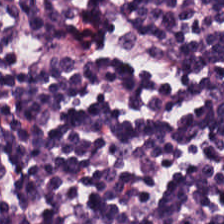WSI patch. Hematoxylin-and-eosin stained section — Classification — lymphocytic infiltrate.
